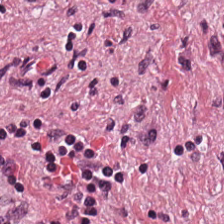Hematoxylin-and-eosin stained section; 0.5 µm/px. {"tissue_type": "tumor-associated stroma"}
